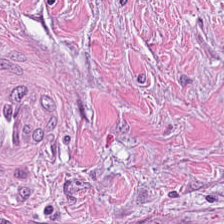H&E — Finding → desmoplastic stroma.
